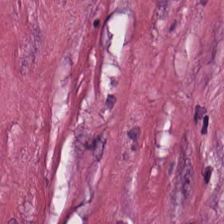H&E-stained tissue section; 0.5 microns per pixel.
The tissue is tumor stroma.
